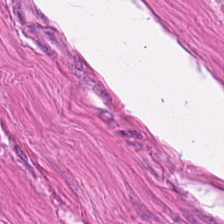Hematoxylin-and-eosin stained section. This patch shows smooth-muscle tissue.
